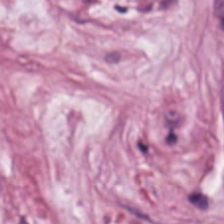H&E stain.
{"tissue_type": "tumor stroma"}
